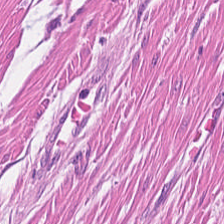H&E-stained tissue section · formalin-fixed paraffin-embedded section — Showing smooth-muscle tissue.
